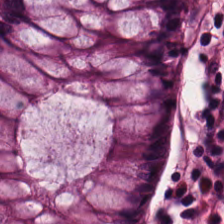H&E-stained tissue section. The predominant tissue is normal colonic mucosa.
